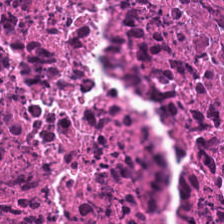Hematoxylin-and-eosin stained section; whole-slide-image patch.
Predominantly cellular debris.
